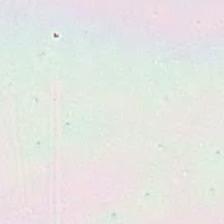H&E stain. No tissue present; background only.
